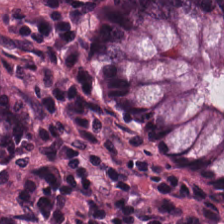Q: What type of tissue is this?
A: This is benign colonic mucosa.
